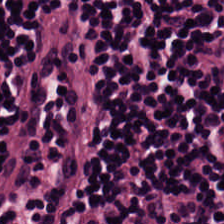Stain: H&E stain.
Tissue: lymphocytic infiltrate.
